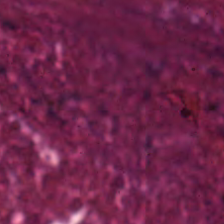H&E-stained tissue section. This field is cellular debris.
